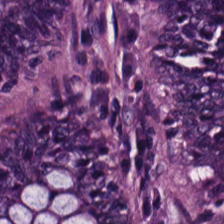H&E — Q: Classify this patch.
A: This is benign colonic mucosa.
